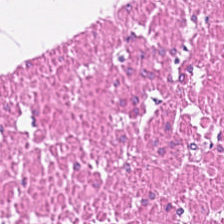Brightfield microscopy; hematoxylin-and-eosin stained section — This field is smooth-muscle tissue.
